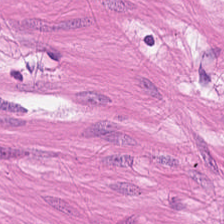Hematoxylin-and-eosin stained section. FFPE tissue section.
Predominant tissue = muscularis.
